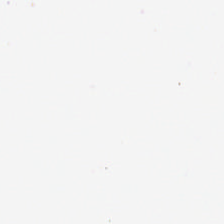20× equivalent magnification; H&E stain.
This patch shows no tissue.
